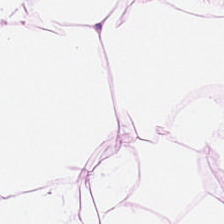Hematoxylin-and-eosin stained section · FFPE. Finding → adipocytes.
